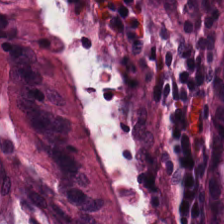Impression — benign colonic mucosa.
